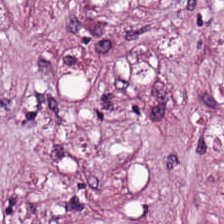Q: What tissue type is shown here?
A: The field shows desmoplastic stroma.
